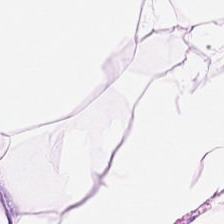224×224 pixel tile; brightfield; H&E — The classification is adipocytes.
